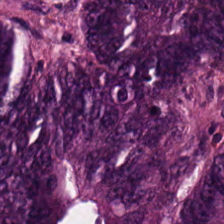Tissue class — tumor epithelium.
